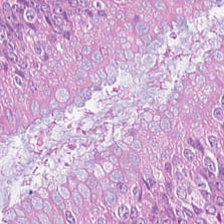H&E-stained tissue section · WSI patch — The tissue class is tumor epithelium.
